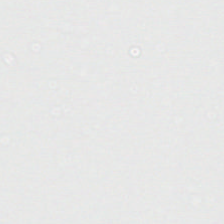H&E; 224×224 pixel tile.
Impression — background.
